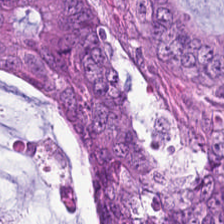Stain: hematoxylin and eosin.
Preparation: FFPE tissue section.
Predominant tissue: malignant epithelium.
